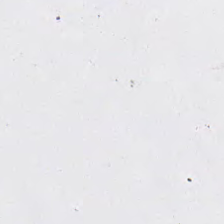Stain: H&E.
Field content: no tissue.
